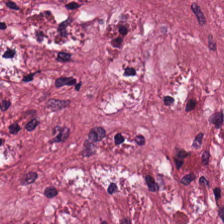H&E-stained tissue section; 0.5 µm/px — Q: What is shown in this field?
A: It is desmoplastic stroma.
